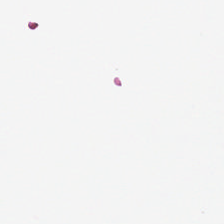Hematoxylin and eosin — Empty field — background (no tissue).
